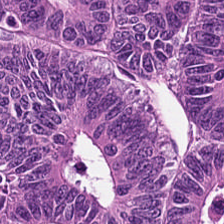Tissue type: adenocarcinoma.
